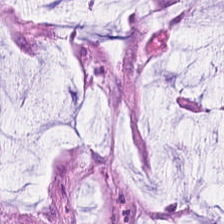Showing extracellular mucin.
